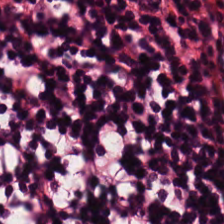Impression — lymphocytes.
